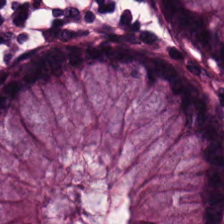H&E; FFPE tissue section — Finding → normal colon mucosa.
